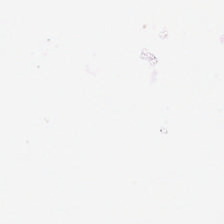No tissue.
